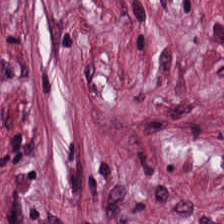Stain: H&E.
Predominant tissue: desmoplastic stroma.
